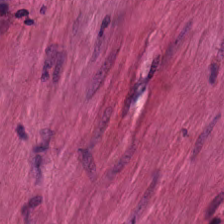0.5 microns per pixel. 224×224 pixel tile. H&E-stained tissue section — This patch shows smooth-muscle tissue.
